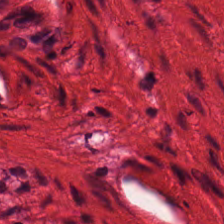Hematoxylin and eosin; FFPE; 224×224 px patch. The tissue class is muscularis.
